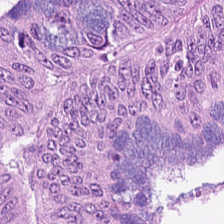FFPE tissue section · H&E.
Histology — tumor epithelium.
